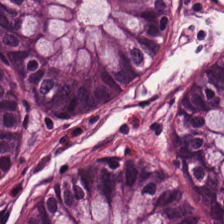H&E stain; 224×224 px patch — Q: What is the predominant tissue type?
A: The field shows benign colonic mucosa.
